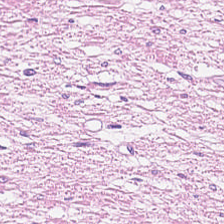Stain: hematoxylin-and-eosin stained section.
Tile size: 224×224 px tile.
Classification: muscularis.
